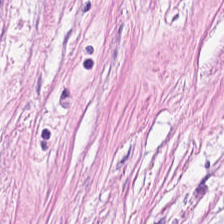Predominant tissue = tumor stroma.
